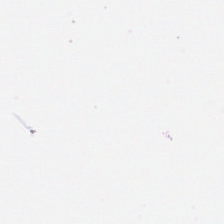Brightfield microscopy; H&E-stained tissue section.
Classification — no tissue.
